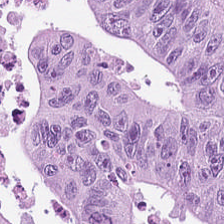Hematoxylin and eosin — Tissue class = tumor epithelium.
